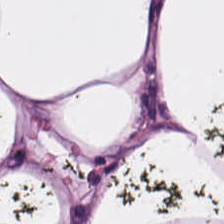Hematoxylin and eosin — Tissue type — fat tissue.
